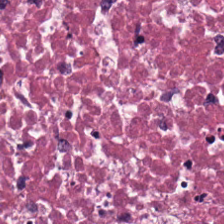224×224 pixel tile. H&E. This patch shows cellular debris.
